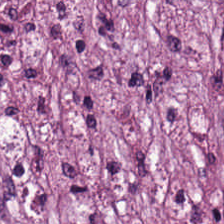Histology — tumor-associated stroma.
